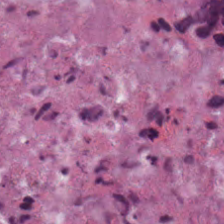Hematoxylin-and-eosin stained section. This field is debris.
